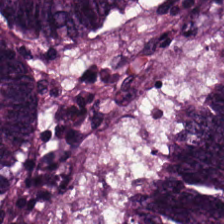This patch shows adenocarcinoma.
